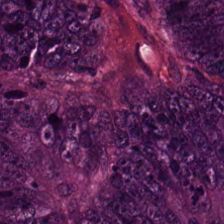H&E stain · FFPE tissue section · whole-slide-image patch.
The classification is tumor epithelium.
